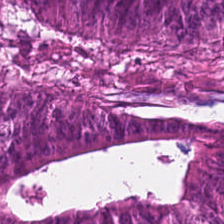H&E stain.
Predominant tissue = adenocarcinoma.
